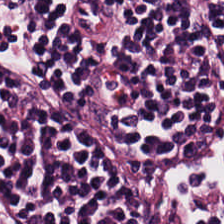Impression — lymphocyte aggregate.
